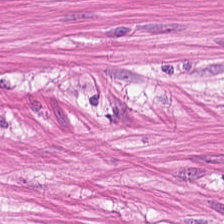Predominantly muscularis.
